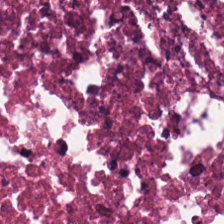H&E stain. The tissue here is necrotic debris.
